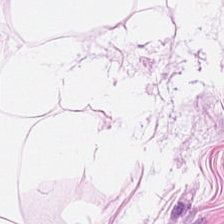224×224 px patch · FFPE tissue section · H&E-stained tissue section.
The tissue here is adipocytes.
